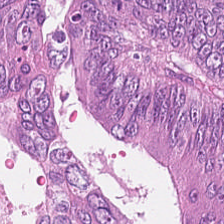H&E-stained tissue section — Impression — adenocarcinoma.
